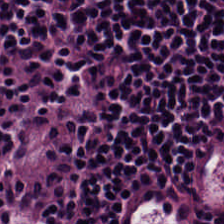H&E — Showing lymphocyte aggregate.
